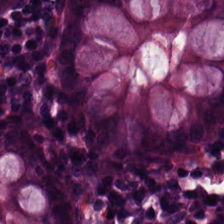Tissue class: benign colonic mucosa.
